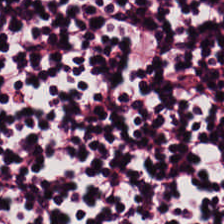H&E · 224×224 pixel tile · whole-slide-image patch.
Tissue class: lymphoid infiltrate.
